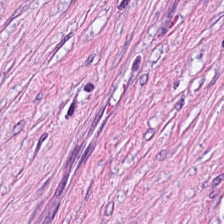Stain: hematoxylin and eosin.
Tissue: tumor stroma.
